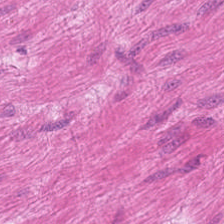H&E-stained tissue section — Q: What is shown here?
A: This is muscularis.
